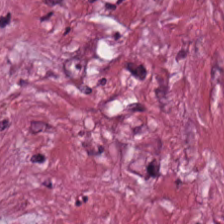{"tissue_type": "cancer-associated stroma"}
